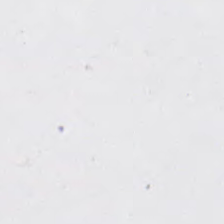Hematoxylin and eosin · 0.5 µm/px — Background — no tissue in this field.
